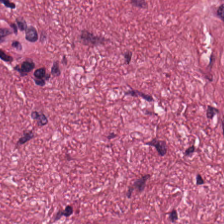H&E stain. Q: What tissue type is shown here?
A: It is tumor stroma.
